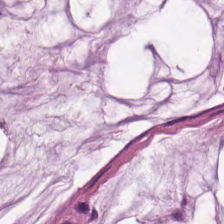Stain: H&E-stained tissue section.
Tissue class: mucin.
